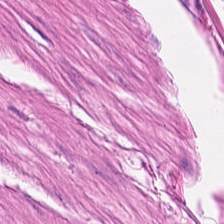H&E.
This field is smooth-muscle tissue.
